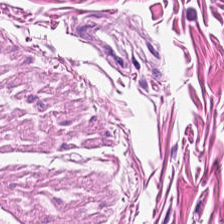Whole-slide-image patch. Hematoxylin-and-eosin stained section. 0.5 µm per pixel.
Q: Classify this patch.
A: This is muscularis.
